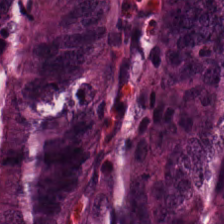Stain: H&E stain.
Classification: colorectal adenocarcinoma.
